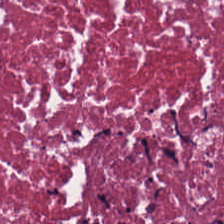0.5 µm/px; hematoxylin-and-eosin stained section. The predominant tissue is necrotic debris.
